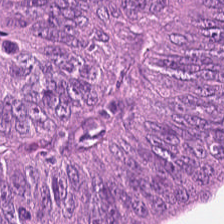The predominant tissue is adenocarcinoma.
